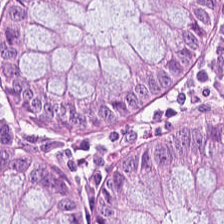Stain: H&E-stained tissue section.
Tissue class: non-neoplastic colon mucosa.
